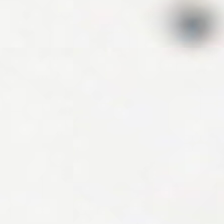Histology → no tissue.
